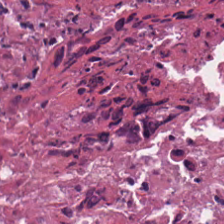Hematoxylin-and-eosin section: cellular debris.
